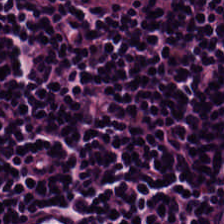H&E-stained tissue section — Showing lymphocyte aggregate.
